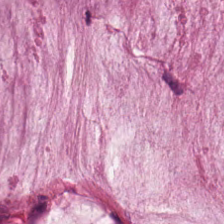Stain: H&E.
Predominant tissue: extracellular mucin.
